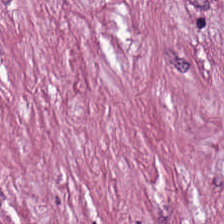Predominantly tumor-associated stroma.
